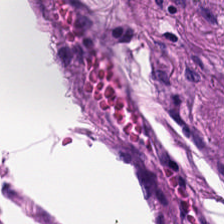H&E stain. This patch shows smooth muscle.
